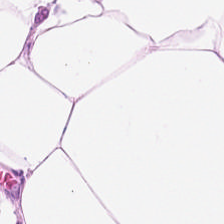H&E-stained tissue section; 224×224 pixel tile.
Q: What tissue type is shown here?
A: The field shows adipose tissue.
